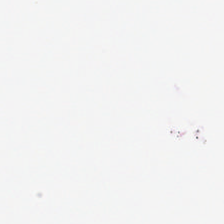H&E stain — Impression → background (no tissue).
